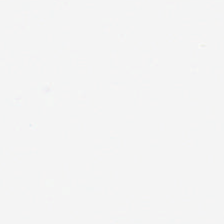H&E stain — The classification is background (no tissue).
